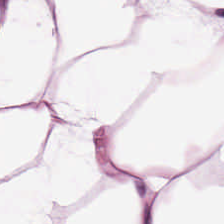Showing adipocytes.
